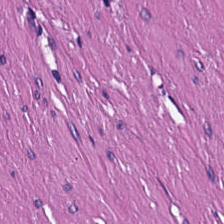Showing smooth muscle.
